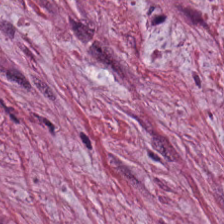Brightfield; 0.5 microns per pixel; H&E stain. This patch shows tumor-associated stroma.
